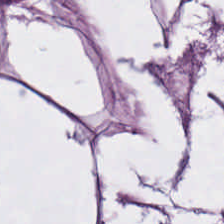Hematoxylin and eosin. Q: What tissue type is shown here?
A: Adipose.
